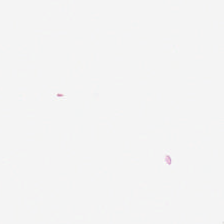H&E — This patch shows background.
